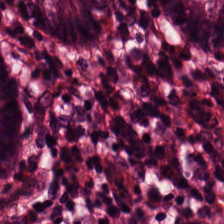Hematoxylin and eosin. 0.5 microns per pixel. Q: What tissue type is shown here?
A: Normal colon mucosa.
